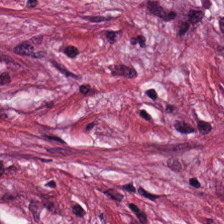H&E stain — Q: What type of tissue is this?
A: Desmoplastic stroma.
